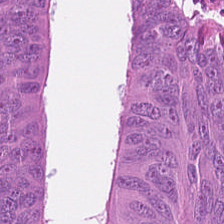WSI patch · H&E-stained tissue section · 0.5 µm per pixel. Showing malignant epithelium.
